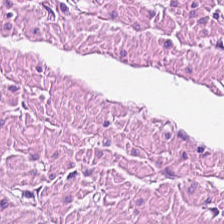Impression → muscularis.
